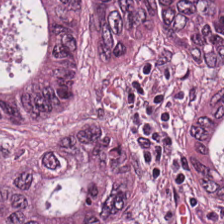Stain: H&E-stained tissue section.
Acquisition: WSI patch.
Preparation: formalin-fixed paraffin-embedded section.
Predominant tissue: malignant epithelium.
